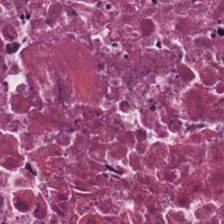H&E stain; WSI patch.
The tissue class is cellular debris.
